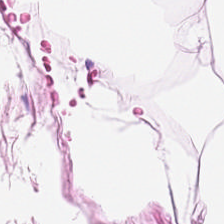H&E stain; 224×224 px patch.
Showing adipocytes.
